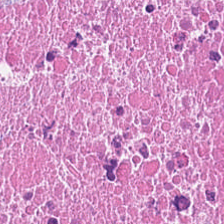Hematoxylin and eosin. Tissue = necrotic debris.
